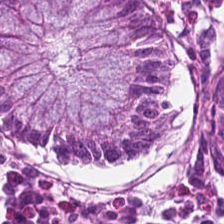224×224 pixel tile · hematoxylin and eosin · 0.5 µm per pixel. Normal colonic mucosa.
